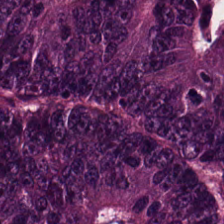20× equivalent magnification · H&E stain · 224×224 pixel tile — This field is colorectal adenocarcinoma.
